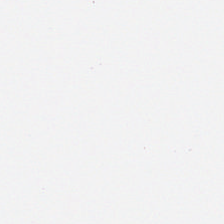No tissue present; background only.
